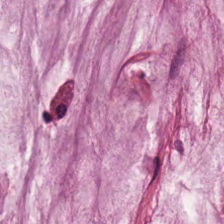Hematoxylin-and-eosin stained section — The classification is extracellular mucin.
